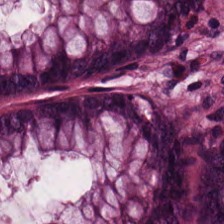H&E. Formalin-fixed paraffin-embedded section. Q: What does this patch show?
A: It is normal colonic mucosa.
